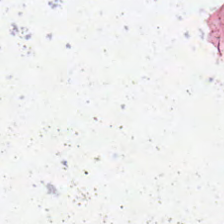H&E-stained tissue section. 224×224 px tile. The field content is background (no tissue).
